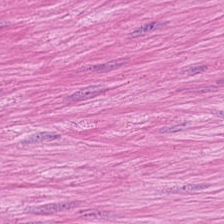Histology — smooth muscle.
